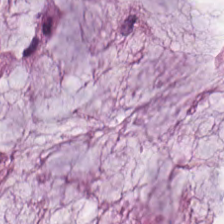H&E-stained tissue section; formalin-fixed paraffin-embedded section — The tissue here is mucus.
